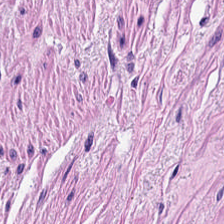Hematoxylin and eosin — Smooth muscle.
